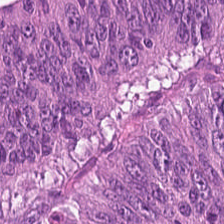{"tissue_type": "tumor epithelium"}
